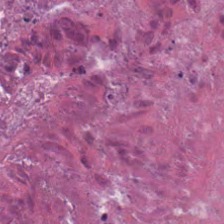H&E-stained tissue section. FFPE tissue section — Predominantly necrotic debris.
